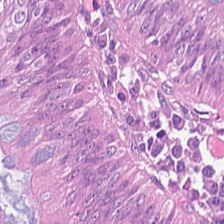Whole-slide-image patch. 0.5 µm/px. H&E-stained tissue section — Predominantly tumor epithelium.
